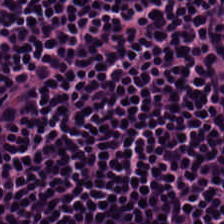Hematoxylin and eosin; FFPE — Predominant tissue = lymphocyte aggregate.
